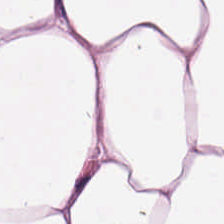The tissue here is adipocytes.
